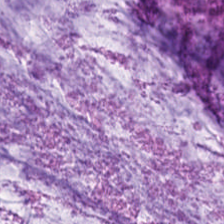H&E-stained tissue section. This field is mucus.
